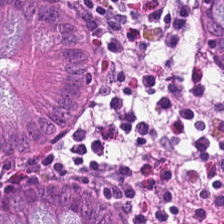Stain: H&E-stained tissue section.
Tissue class: normal colonic mucosa.
